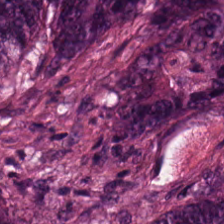Hematoxylin-and-eosin stained section — Predominantly colorectal adenocarcinoma.
